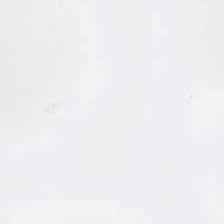Stain: H&E.
Content: background (no tissue).
